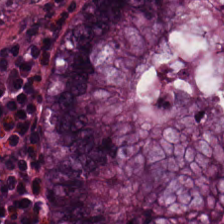Hematoxylin and eosin; 224×224 pixel tile — Q: What is shown in this field?
A: The field shows normal colon mucosa.
